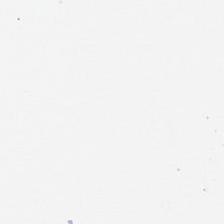H&E stain.
Empty field — empty background.
